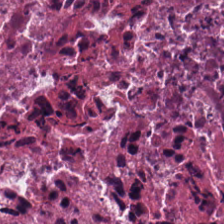Q: What tissue type is shown here?
A: It is debris.
